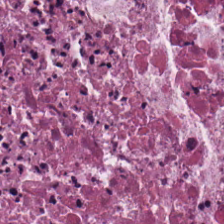H&E. Brightfield microscopy.
Histology — cellular debris.
